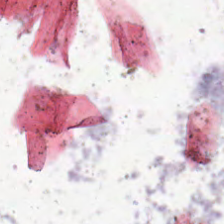FFPE; H&E; 224×224 px patch — This patch shows background.
